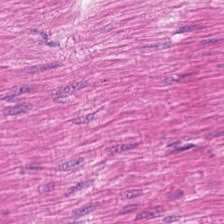H&E-stained tissue section — Tissue class — smooth muscle.
